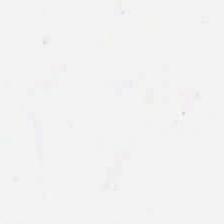224×224 px patch · H&E stain.
Background — no tissue in this field.
